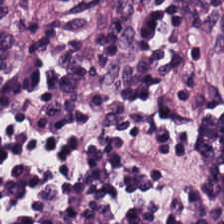H&E; 0.5 µm per pixel.
Tissue — lymphocytic infiltrate.
